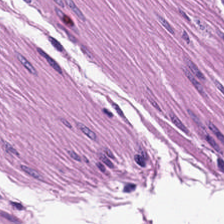This patch shows smooth-muscle tissue.
